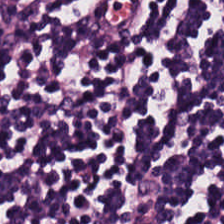Q: What tissue is shown?
A: It is lymphocytic infiltrate.
